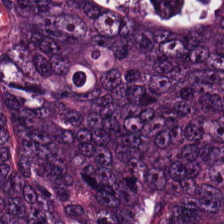Formalin-fixed paraffin-embedded section. H&E-stained tissue section. The tissue is tumor epithelium.
